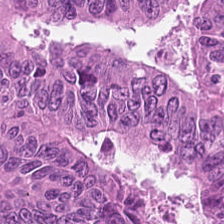Whole-slide-image patch. 20× equivalent magnification. Hematoxylin-and-eosin stained section — Q: Identify the tissue.
A: The field shows tumor epithelium.
